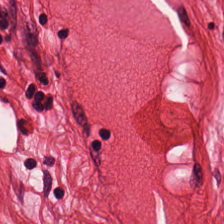H&E stain. Finding — smooth-muscle tissue.
